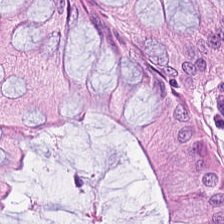H&E-stained tissue section · WSI patch — Q: Identify the tissue.
A: This is normal colonic mucosa.
